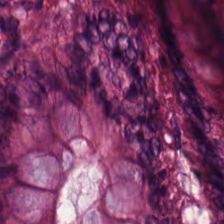H&E stain — Histology → benign colonic mucosa.
